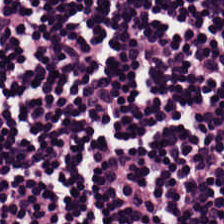H&E stain — The predominant tissue is lymphocytes.
